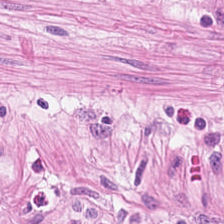Stain: H&E stain.
Tile size: 224×224 px tile.
Classification: smooth muscle.
